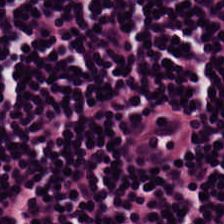Tissue class = lymphocytes.
